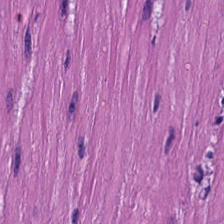Hematoxylin and eosin. Q: What tissue is shown?
A: It is smooth muscle.
